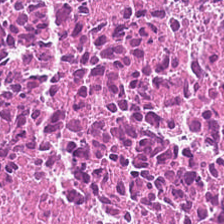Tissue class — necrotic debris.
